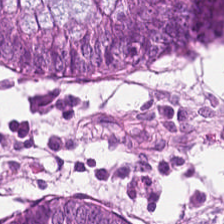H&E stain — Tissue class — normal colon mucosa.
